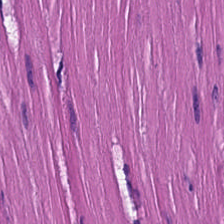H&E-stained tissue section; 0.5 µm per pixel — The predominant tissue is muscularis.
